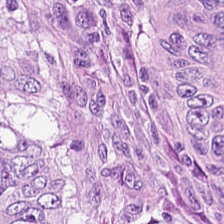H&E stain.
Predominantly adenocarcinoma.
